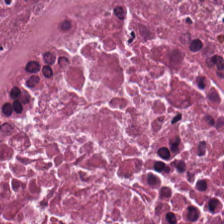H&E stain; brightfield — Impression → debris.
